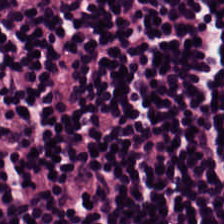H&E.
This field is lymphocytic infiltrate.
